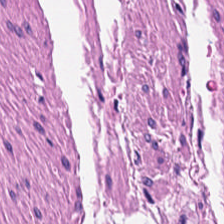H&E-stained tissue section. Finding → smooth muscle.
